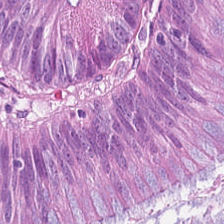224×224 pixel tile; FFPE tissue section; H&E stain.
Showing malignant epithelium.
